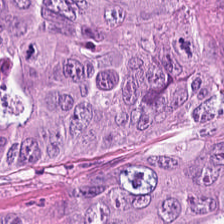Predominant tissue = tumor epithelium.
